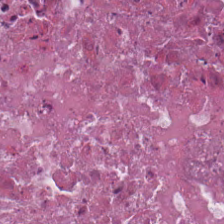H&E stain — The predominant tissue is necrotic debris.
